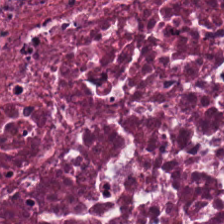Q: What is shown in this field?
A: Cellular debris.
